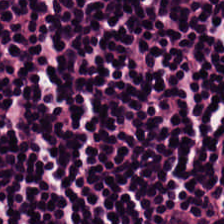FFPE tissue section · hematoxylin and eosin. Finding — lymphocytic infiltrate.
